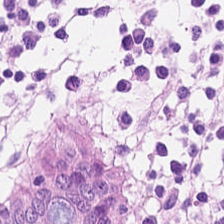Tissue type: normal colon mucosa.
